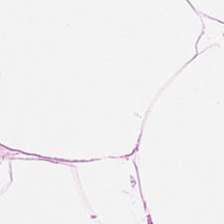H&E-stained tissue section.
Predominantly adipocytes.
